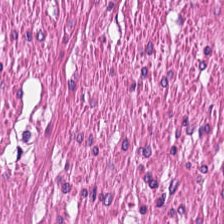H&E-stained tissue section. 20× equivalent magnification. FFPE tissue section — The classification is smooth-muscle tissue.
